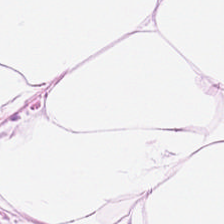H&E stain — Fat tissue.
